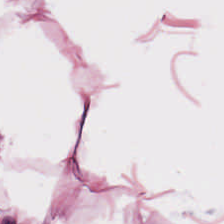Hematoxylin-and-eosin stained section. Q: What tissue is shown?
A: Adipose tissue.
